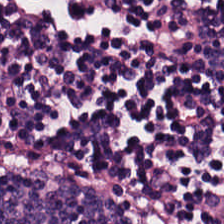This patch shows lymphoid infiltrate.
